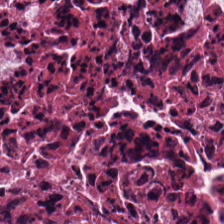Tissue class — cellular debris.
